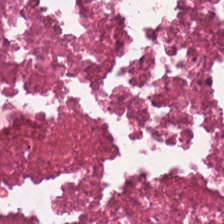Predominant tissue: cellular debris.
